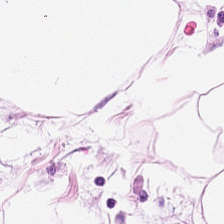Brightfield; 0.5 µm/px; hematoxylin-and-eosin stained section. Predominant tissue = adipose.
